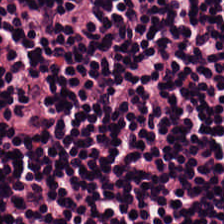224×224 px patch · H&E stain — Q: What is shown here?
A: Lymphocyte aggregate.
